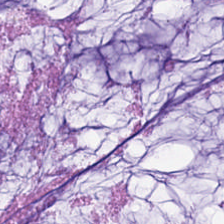Histology — mucin.
